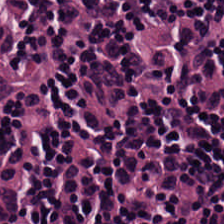Hematoxylin and eosin; 20× equivalent magnification; WSI patch. Predominant tissue: lymphocytic infiltrate.
